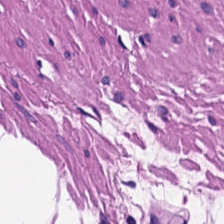Hematoxylin-and-eosin stained section — Predominantly muscularis.
